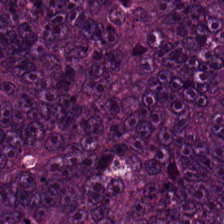Stain: hematoxylin and eosin.
Acquisition: WSI patch.
Predominant tissue: adenocarcinoma.
